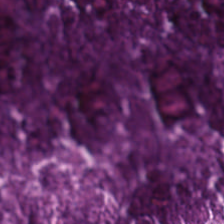Stain: hematoxylin-and-eosin stained section.
Predominant tissue: cellular debris.
